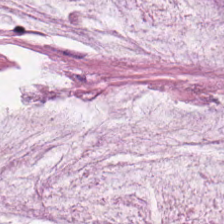H&E-stained tissue section.
The tissue here is mucus.
